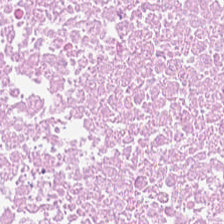H&E stain.
The tissue here is necrotic debris.
